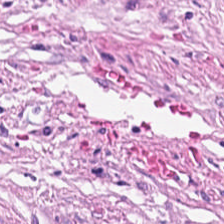Impression — tumor stroma.
